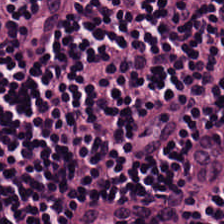Brightfield · H&E stain. This patch shows lymphocytic infiltrate.
